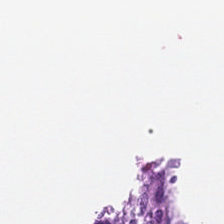H&E stain. Brightfield microscopy. Content: background.
